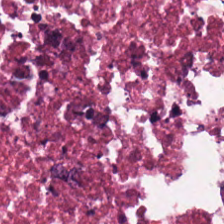{"tissue_type": "debris"}
